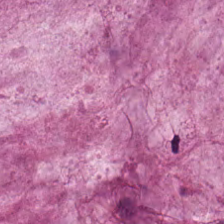H&E.
Extracellular mucin.
